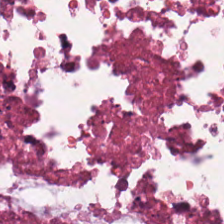Hematoxylin and eosin.
Tissue: necrotic debris.
